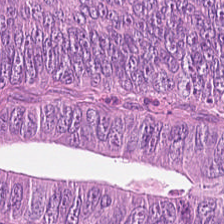H&E-stained section; the field shows colorectal adenocarcinoma.
